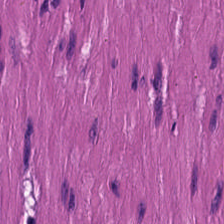H&E stain.
Smooth muscle.
